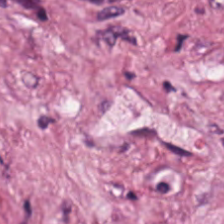H&E-stained tissue section.
Tissue type = tumor-associated stroma.
